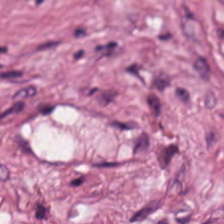0.5 µm per pixel; hematoxylin-and-eosin stained section.
This patch shows tumor-associated stroma.
